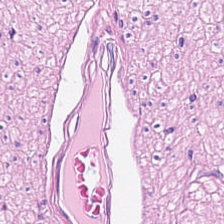224×224 px patch; 0.5 µm/px; hematoxylin-and-eosin stained section — This field is smooth-muscle tissue.
